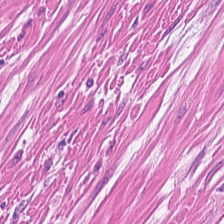Hematoxylin and eosin — Predominantly muscularis.
